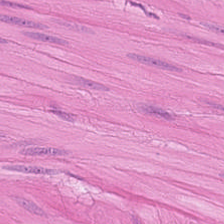Stain: hematoxylin and eosin.
Classification: smooth muscle.
